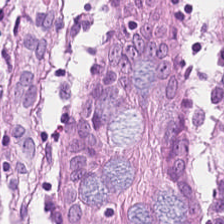H&E stain. 224×224 pixel tile.
Q: What is shown in this field?
A: The field shows normal colon mucosa.
